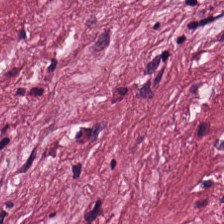Q: What tissue type is shown here?
A: Tumor-associated stroma.
